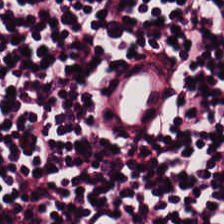H&E-stained tissue section; 224×224 px patch; WSI patch. Lymphocytes.
